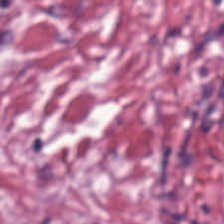H&E patch showing tumor stroma.
